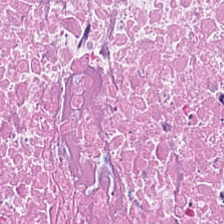0.5 µm per pixel. Hematoxylin-and-eosin stained section.
Tissue type: cellular debris.
